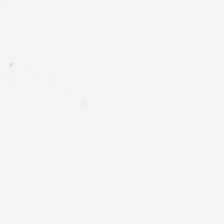FFPE tissue section; H&E-stained tissue section — Q: Classify this patch.
A: It is background (no tissue).
